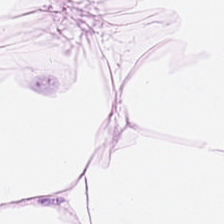H&E — {"tissue_type": "adipocytes"}
